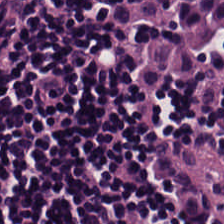H&E.
Q: Identify the tissue.
A: This is lymphocytic infiltrate.
